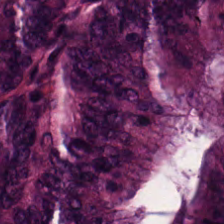Stain: H&E.
Acquisition: brightfield microscopy.
Predominant tissue: adenocarcinoma.
